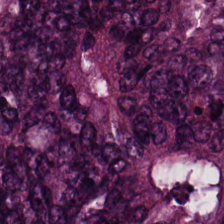Predominantly malignant epithelium.
